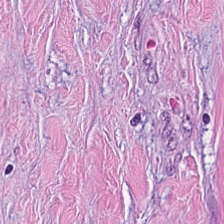Brightfield microscopy. 224×224 pixel tile. H&E.
Q: What is the predominant tissue type?
A: Tumor-associated stroma.
